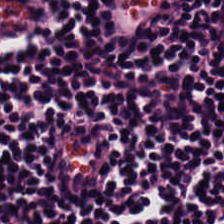Brightfield microscopy. Hematoxylin-and-eosin stained section.
Histology → lymphocytes.
